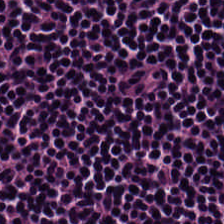Lymphoid infiltrate.
